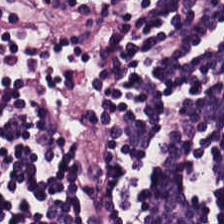Formalin-fixed paraffin-embedded section. H&E-stained tissue section.
The classification is lymphocyte aggregate.
